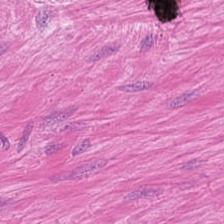Stain: hematoxylin-and-eosin stained section.
Classification: smooth muscle.
